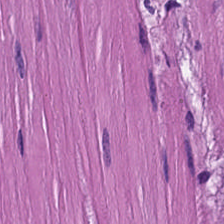Brightfield · 0.5 µm/px · hematoxylin and eosin. {"tissue_type": "smooth-muscle tissue"}
